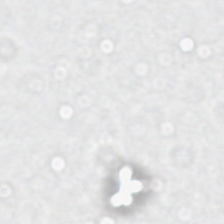Stain: H&E.
Content: empty background.
